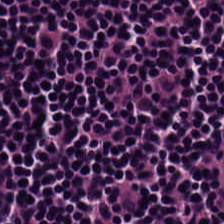FFPE. 224×224 px patch. H&E stain. Tissue class — lymphocyte aggregate.
